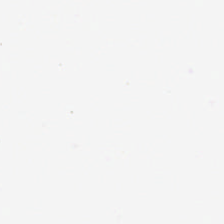H&E; FFPE.
Background — no tissue in this field.
